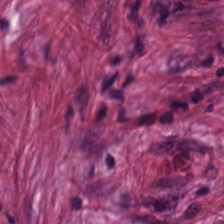Histology — tumor-associated stroma.
